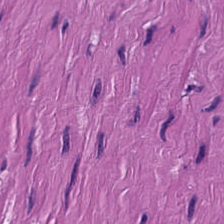Predominantly smooth-muscle tissue.
